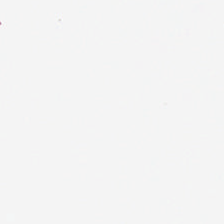H&E-stained tissue section — This field is background (no tissue).
